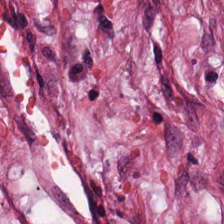0.5 µm per pixel; H&E; formalin-fixed paraffin-embedded section.
The tissue here is cancer-associated stroma.
